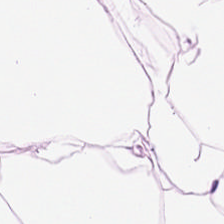0.5 µm per pixel; H&E — Q: What is the predominant tissue type?
A: It is adipocytes.
